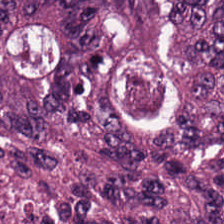Q: What is the predominant tissue type?
A: The field shows tumor epithelium.
